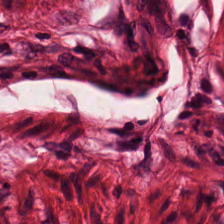H&E-stained tissue section. Tissue type — smooth-muscle tissue.
